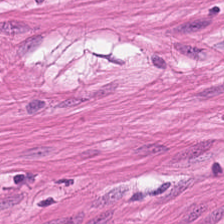Hematoxylin and eosin · 0.5 µm/px — Tissue type — smooth-muscle tissue.
